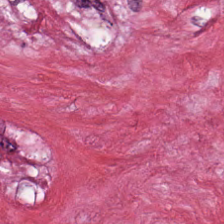Hematoxylin-and-eosin stained section.
Q: Identify the tissue.
A: This is tumor-associated stroma.
